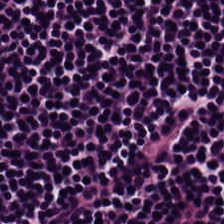Stain: H&E-stained tissue section.
Tile size: 224×224 pixel tile.
Classification: lymphocytes.
